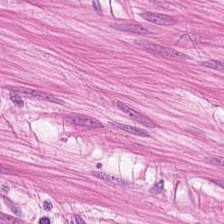H&E stain.
Smooth-muscle tissue.
